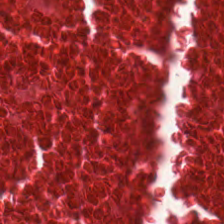Hematoxylin and eosin; 224×224 pixel tile.
Finding → necrotic debris.
